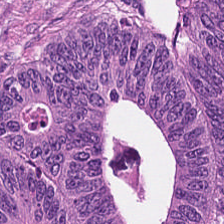Brightfield microscopy; hematoxylin-and-eosin stained section. Histology — malignant epithelium.
